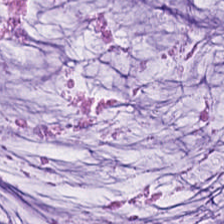H&E-stained tissue section showing mucus.
